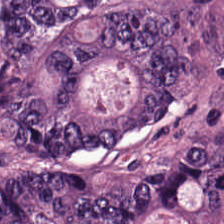Brightfield; H&E.
Q: What does this patch show?
A: It is colorectal adenocarcinoma.
